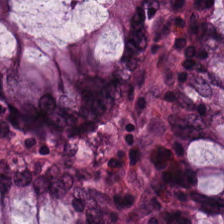0.5 microns per pixel; 224×224 pixel tile; H&E stain. This patch shows non-neoplastic colon mucosa.
